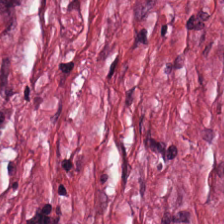FFPE; H&E stain; brightfield microscopy — Predominantly tumor-associated stroma.
